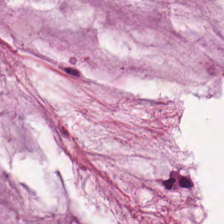Q: What tissue type is shown here?
A: It is extracellular mucin.
